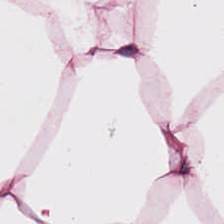H&E-stained tissue section · 224×224 px tile — Classification = fat tissue.
